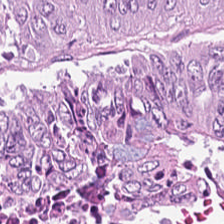Stain: hematoxylin-and-eosin stained section.
Acquisition: brightfield microscopy.
Tissue: malignant epithelium.
